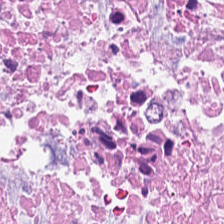The predominant tissue is debris.
